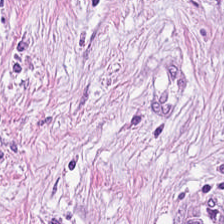224×224 px patch · hematoxylin-and-eosin stained section.
Q: What tissue type is shown here?
A: It is tumor-associated stroma.
